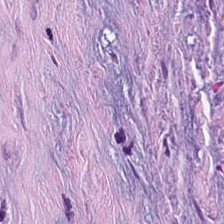This field is tumor stroma.
